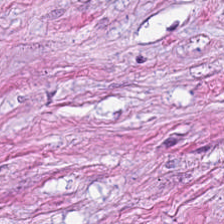Stain: hematoxylin-and-eosin stained section.
Predominant tissue: cancer-associated stroma.
